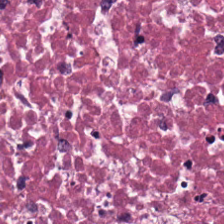H&E; FFPE tissue section; 224×224 px patch — The tissue here is necrotic debris.
